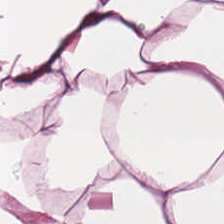H&E — The tissue class is fat tissue.
